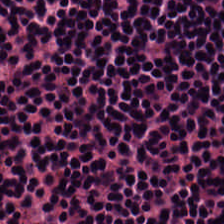Hematoxylin and eosin — Q: Identify the tissue.
A: Lymphocyte aggregate.
